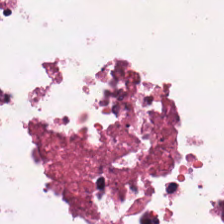Hematoxylin and eosin.
This field is necrotic debris.
